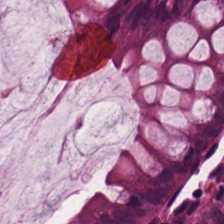H&E.
This patch shows normal colon mucosa.
